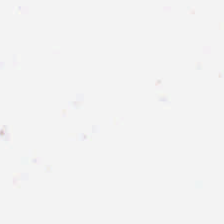H&E stain — Content = empty background.
